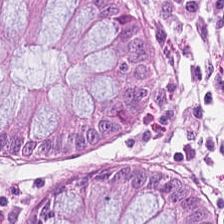Hematoxylin-and-eosin stained section.
Finding → normal colonic mucosa.
